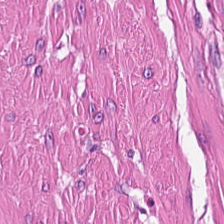224×224 pixel tile · H&E-stained tissue section — Tissue class — smooth-muscle tissue.
